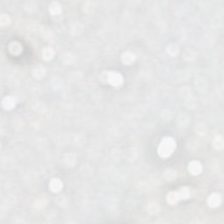Finding — empty background.
